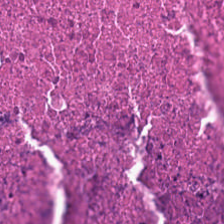Hematoxylin-and-eosin stained section. This patch shows necrotic debris.
